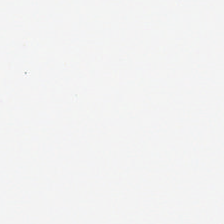Q: What is shown in this field?
A: The field shows background (no tissue).
